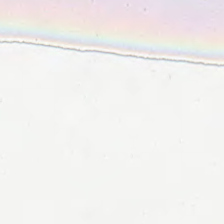Classification — background (no tissue).
